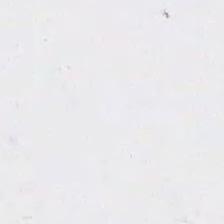No tissue present; background only.
